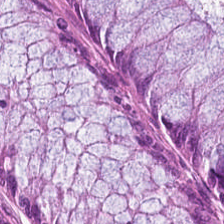H&E-stained tissue section — The tissue here is benign colonic mucosa.
